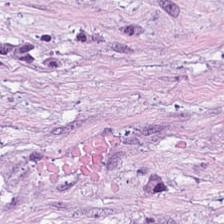H&E. Q: What tissue type is shown here?
A: It is tumor-associated stroma.
